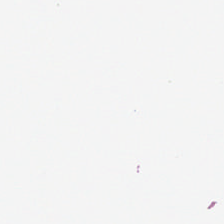Empty field — no tissue.
